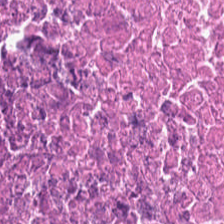H&E-stained section; the field shows cellular debris.
